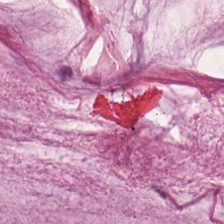H&E.
Tissue type — extracellular mucin.
